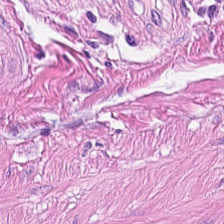Hematoxylin and eosin — Predominant tissue — smooth muscle.
